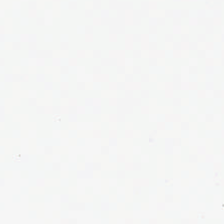Hematoxylin-and-eosin stained section. No tissue present; background only.
